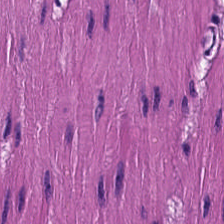Stain: hematoxylin-and-eosin stained section.
Preparation: FFPE.
Classification: smooth muscle.
